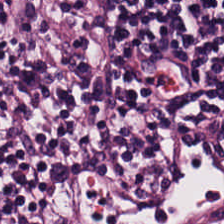Hematoxylin-and-eosin stained section — This field is lymphoid infiltrate.
